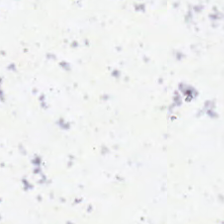Background — no tissue in this field.
